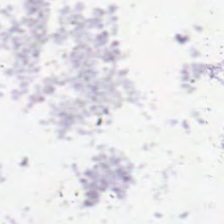224×224 px tile. H&E-stained tissue section — No tissue present; background only.
